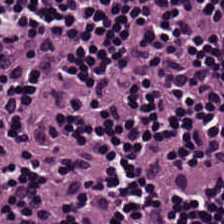H&E stain.
The tissue here is lymphocyte aggregate.
